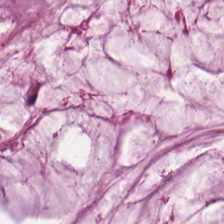20× equivalent magnification; 224×224 px patch; hematoxylin-and-eosin stained section — The tissue here is mucin.
